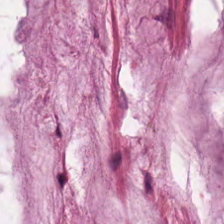0.5 µm per pixel; formalin-fixed paraffin-embedded section; H&E-stained tissue section.
{"tissue_type": "extracellular mucin"}
